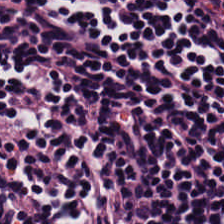0.5 µm/px · whole-slide-image patch · H&E-stained tissue section.
Predominant tissue: lymphocytes.
